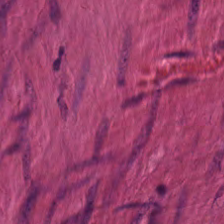224×224 pixel tile; H&E stain — Predominant tissue = muscularis.
